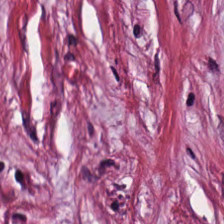H&E stain.
The predominant tissue is cancer-associated stroma.
